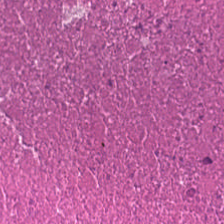Q: What is the predominant tissue type?
A: This is cellular debris.
